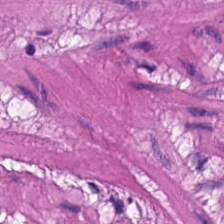Hematoxylin-and-eosin stained section.
Impression — muscularis.
